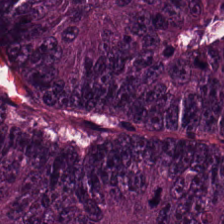20× equivalent magnification · H&E stain · 224×224 px patch.
Q: What does this patch show?
A: Colorectal adenocarcinoma epithelium.
